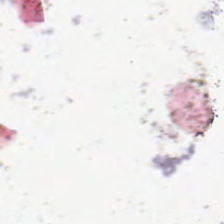H&E stain · FFPE tissue section · 224×224 px tile — Classification — background (no tissue).
